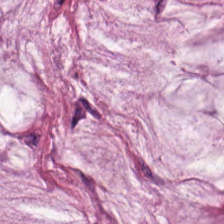H&E. Showing extracellular mucin.
